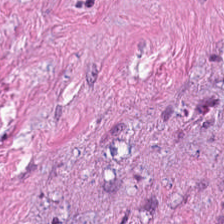0.5 microns per pixel. Brightfield microscopy. H&E-stained tissue section. This field is tumor-associated stroma.
